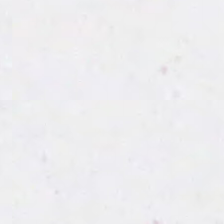Hematoxylin-and-eosin stained section. Empty background.
